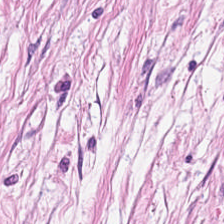20× equivalent magnification. FFPE tissue section. H&E stain.
The tissue here is desmoplastic stroma.
